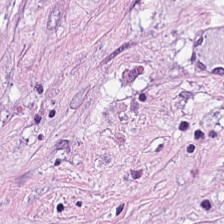Hematoxylin and eosin. Q: What does this patch show?
A: This is cancer-associated stroma.
